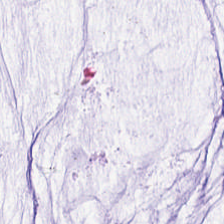FFPE; H&E stain; 224×224 pixel tile. Impression → extracellular mucin.
